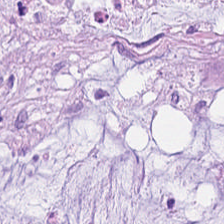This patch shows mucin.
